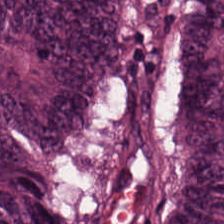Hematoxylin-and-eosin stained section. The tissue here is colorectal adenocarcinoma.
